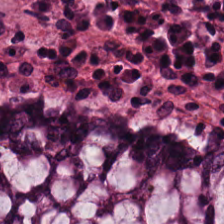Predominantly normal colon mucosa.
